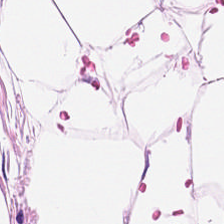H&E stain. Showing fat tissue.
